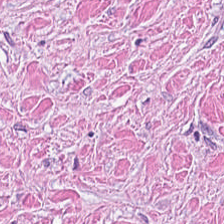Hematoxylin-and-eosin stained section. Q: Classify this patch.
A: This is desmoplastic stroma.
